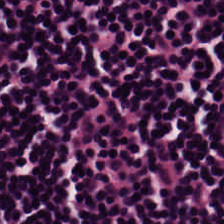Q: What type of tissue is this?
A: The field shows lymphocyte aggregate.
